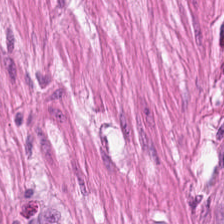H&E stain.
This patch shows smooth-muscle tissue.
